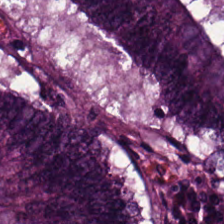H&E stain; 224×224 px tile. The tissue type is tumor epithelium.
